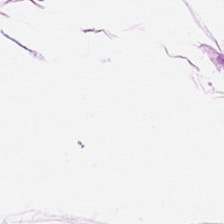0.5 microns per pixel; H&E.
Predominantly fat tissue.
